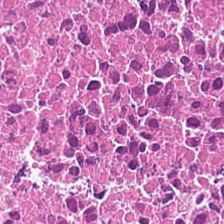Hematoxylin-and-eosin stained section. 224×224 pixel tile. The tissue type is necrotic debris.
